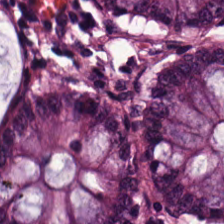H&E.
The predominant tissue is benign colonic mucosa.
